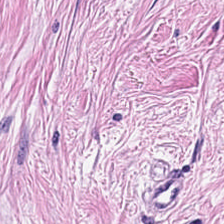Stain: H&E-stained tissue section.
Tile size: 224×224 pixel tile.
Resolution: 0.5 µm/px.
Predominant tissue: tumor-associated stroma.
